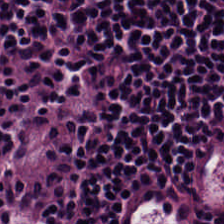Hematoxylin and eosin · 0.5 µm per pixel — Finding → lymphocyte aggregate.
